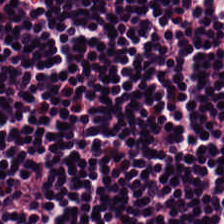Hematoxylin-and-eosin stained section. Brightfield.
The tissue here is lymphocytes.
